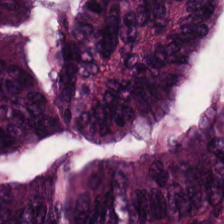H&E; 20× equivalent magnification. This field is colorectal adenocarcinoma.
